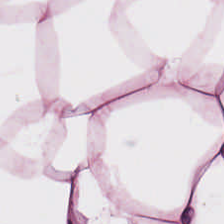Hematoxylin-and-eosin stained section — Classification = fat tissue.
